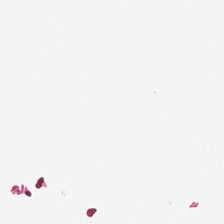224×224 px patch. Hematoxylin and eosin.
The content is background (no tissue).
